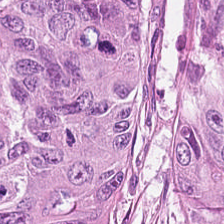Stain: H&E-stained tissue section.
Predominant tissue: colorectal adenocarcinoma.
